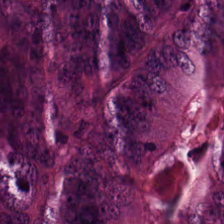Hematoxylin-and-eosin stained section. Tissue: malignant epithelium.
